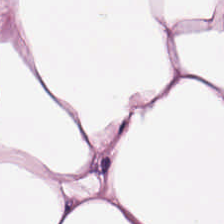224×224 px patch; hematoxylin-and-eosin stained section.
Tissue class — adipose.
